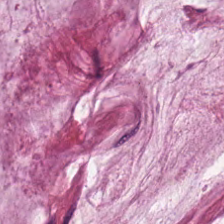H&E-stained tissue section — Showing mucin.
